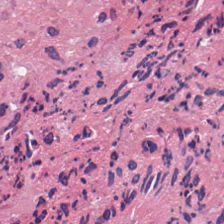H&E-stained tissue section.
Tissue type = cellular debris.
